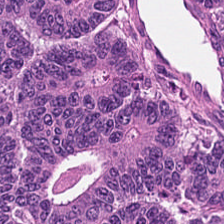Hematoxylin and eosin — Tissue class — colorectal adenocarcinoma epithelium.
